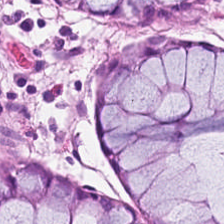H&E; 0.5 µm/px; 224×224 pixel tile.
Normal colonic mucosa.
